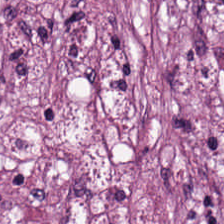20× equivalent magnification; H&E — Q: What is the predominant tissue type?
A: This is cancer-associated stroma.
